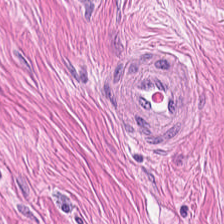Stain: H&E-stained tissue section.
Tile size: 224×224 pixel tile.
Predominant tissue: smooth muscle.
